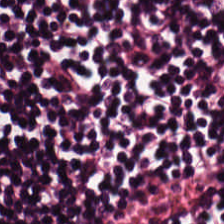Hematoxylin and eosin; 224×224 px patch — Classification = lymphocytic infiltrate.
